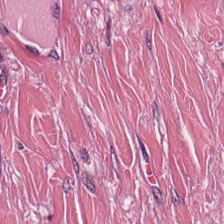Q: What is the predominant tissue type?
A: It is desmoplastic stroma.
